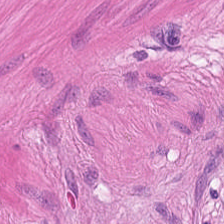FFPE tissue section. H&E. Smooth muscle.
